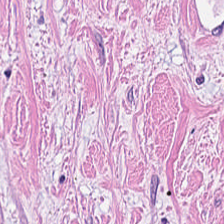Tissue class = cancer-associated stroma.
